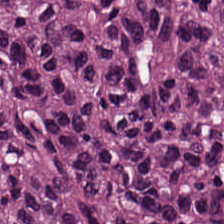H&E.
The tissue here is colorectal adenocarcinoma.
